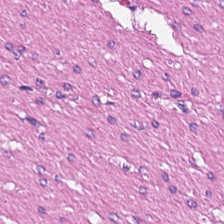224×224 pixel tile. H&E stain — Predominantly muscularis.
